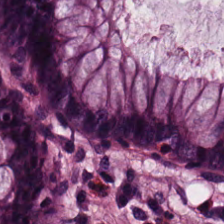Stain: H&E-stained tissue section.
Acquisition: brightfield.
Tile size: 224×224 pixel tile.
Predominant tissue: normal colonic mucosa.
